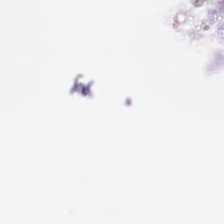Stain: hematoxylin-and-eosin stained section.
Resolution: 0.5 microns per pixel.
Classification: background (no tissue).
